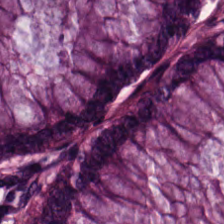Hematoxylin-and-eosin section: benign colonic mucosa.
